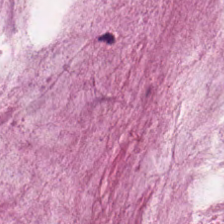Formalin-fixed paraffin-embedded section · H&E · 0.5 microns per pixel — Mucin.
